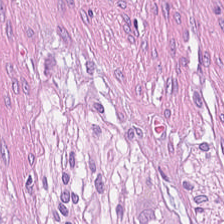Brightfield microscopy; hematoxylin and eosin; 20× equivalent magnification.
Tissue class — cancer-associated stroma.
